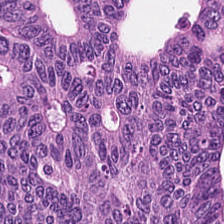Hematoxylin-and-eosin stained section · 0.5 µm/px. {"tissue_type": "colorectal adenocarcinoma epithelium"}
